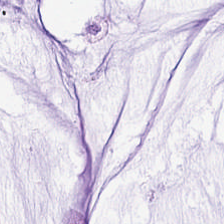Mucus.
